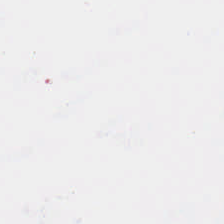224×224 pixel tile · H&E stain · FFPE — Background (no tissue).
